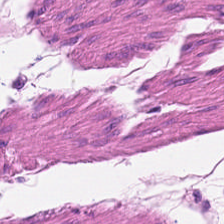H&E. Impression → smooth muscle.
